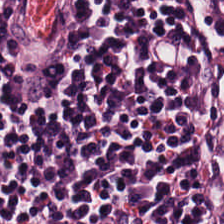H&E.
Q: What is shown here?
A: The field shows lymphoid infiltrate.
